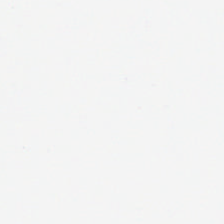Stain: H&E-stained tissue section.
Tile size: 224×224 pixel tile.
Content: background.
